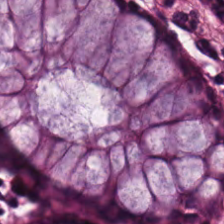Hematoxylin-and-eosin stained section; 0.5 µm/px — Impression — non-neoplastic colon mucosa.
